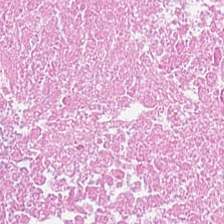Stain: hematoxylin and eosin.
Tile size: 224×224 pixel tile.
Classification: necrotic debris.
